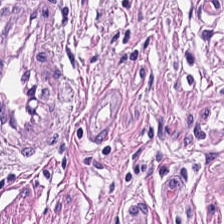Stain: hematoxylin-and-eosin stained section.
Preparation: FFPE tissue section.
Tissue class: smooth-muscle tissue.
